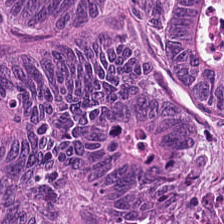Hematoxylin-and-eosin stained section.
Classification: tumor epithelium.
